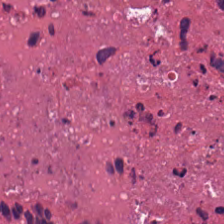Hematoxylin and eosin. 224×224 px tile — Q: What type of tissue is this?
A: This is cellular debris.
